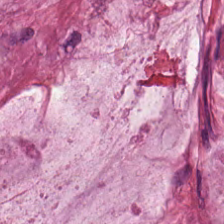Predominant tissue: mucus.
